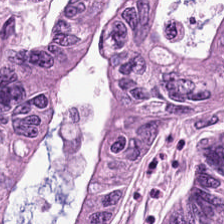Stain: hematoxylin and eosin.
Predominant tissue: malignant epithelium.
